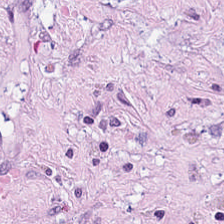Q: What tissue is shown?
A: The field shows tumor stroma.
